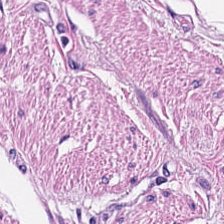Q: What does this patch show?
A: The field shows smooth muscle.
